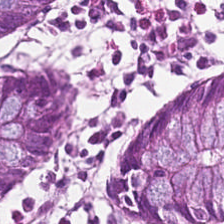H&E-stained section; the field shows normal colonic mucosa.
